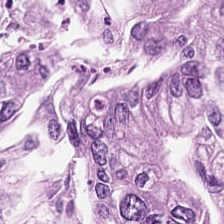H&E-stained tissue section. Q: What tissue type is shown here?
A: This is colorectal adenocarcinoma.
